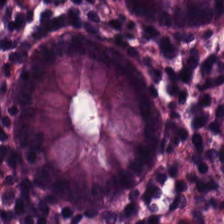Hematoxylin-and-eosin stained section. Q: What is shown here?
A: It is normal colon mucosa.
